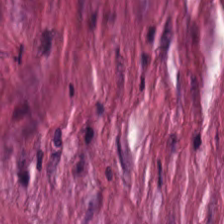Brightfield; H&E-stained tissue section; 0.5 µm per pixel. Predominant tissue = tumor stroma.
